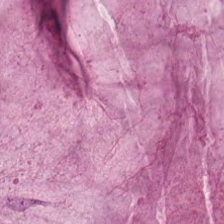Hematoxylin-and-eosin stained section · 224×224 px tile · 20× equivalent magnification — Tissue class: mucin.
